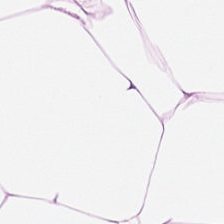H&E.
The predominant tissue is adipose.
